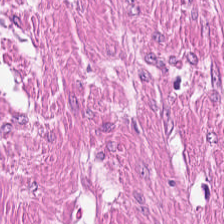H&E · 20× equivalent magnification. This field is smooth muscle.
